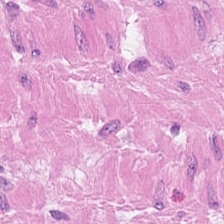H&E. The predominant tissue is smooth muscle.
